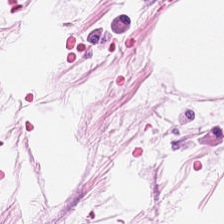H&E. Q: What tissue is shown?
A: This is adipose.
